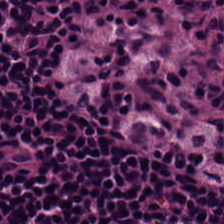Hematoxylin-and-eosin stained section — Q: Identify the tissue.
A: The field shows lymphoid infiltrate.
